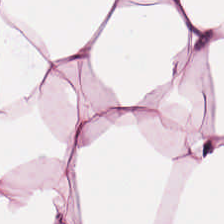Stain: hematoxylin-and-eosin stained section.
Acquisition: whole-slide-image patch.
Tissue: adipocytes.
